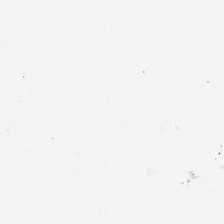0.5 µm per pixel; H&E stain.
{"content": "background"}
